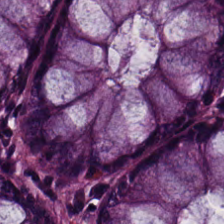Q: Classify this patch.
A: Normal colonic mucosa.
